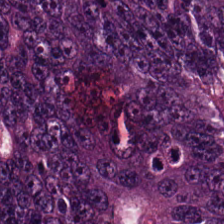Brightfield microscopy. H&E-stained tissue section. Formalin-fixed paraffin-embedded section.
The tissue here is colorectal adenocarcinoma epithelium.
